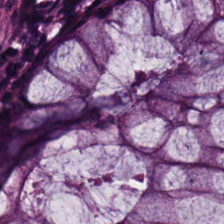Hematoxylin and eosin. This patch shows normal colon mucosa.
